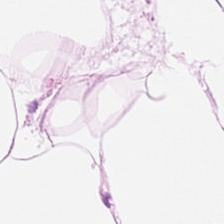Adipose.
